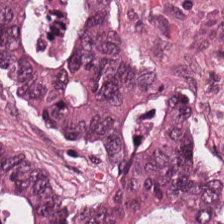20× equivalent magnification. 224×224 px tile. H&E stain — Tumor epithelium.
